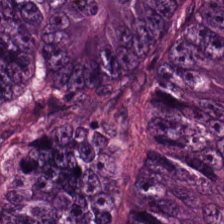Hematoxylin and eosin. {"tissue_type": "colorectal adenocarcinoma"}
